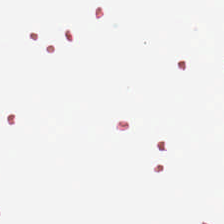20× equivalent magnification. Hematoxylin-and-eosin stained section.
Empty field — background (no tissue).
